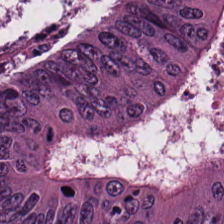Hematoxylin-and-eosin stained section; formalin-fixed paraffin-embedded section.
The predominant tissue is colorectal adenocarcinoma epithelium.
